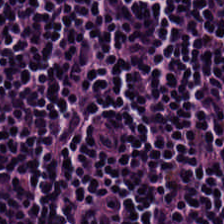Q: What type of tissue is this?
A: This is lymphocyte aggregate.
